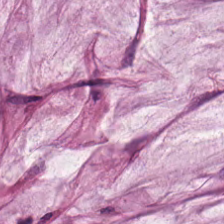H&E. Brightfield. FFPE.
Predominantly mucus.
